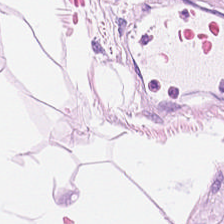Classification — fat tissue.
